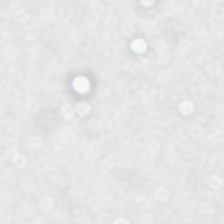Stain: H&E stain.
Field content: empty background.
